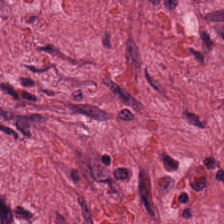{"tissue_type": "tumor-associated stroma"}
